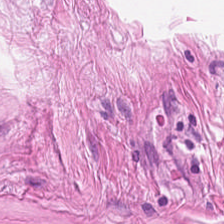H&E-stained section; the field shows smooth-muscle tissue.
